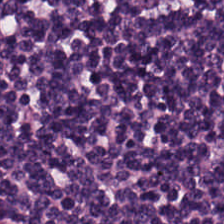Stain: hematoxylin and eosin.
Classification: lymphocyte aggregate.
